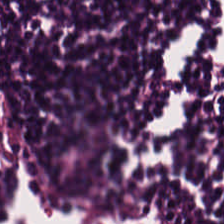Hematoxylin-and-eosin stained section — Q: What is the predominant tissue type?
A: Lymphocytic infiltrate.
